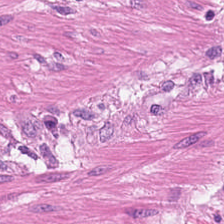Tissue — smooth-muscle tissue.
